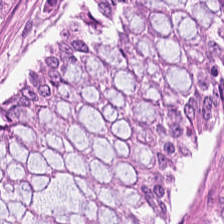Hematoxylin and eosin.
{"tissue_type": "normal colon mucosa"}
